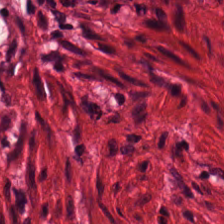Brightfield; H&E-stained tissue section. {"tissue_type": "smooth-muscle tissue"}
